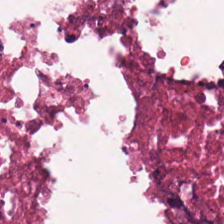H&E-stained tissue section. Classification = necrotic debris.
